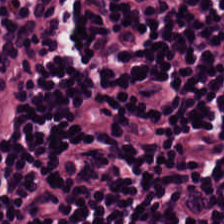Lymphocyte aggregate.
